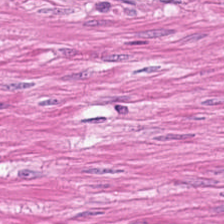Hematoxylin-and-eosin stained section. Predominant tissue: smooth-muscle tissue.
